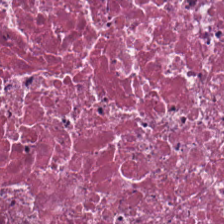The tissue class is cellular debris.
